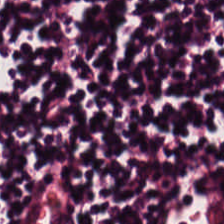H&E stain.
{"tissue_type": "lymphoid infiltrate"}
